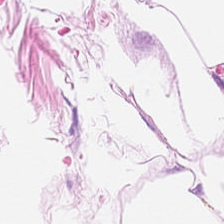H&E.
Predominant tissue: adipose tissue.
